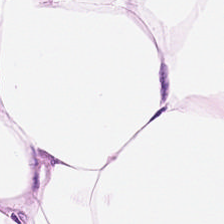Stain: hematoxylin and eosin.
Resolution: 0.5 microns per pixel.
Predominant tissue: adipose.
